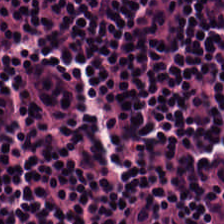Hematoxylin and eosin. Tissue type — lymphoid infiltrate.
